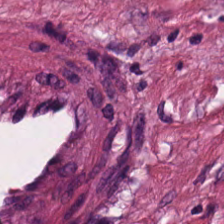Whole-slide-image patch · 0.5 microns per pixel · hematoxylin and eosin.
Q: What type of tissue is this?
A: It is desmoplastic stroma.
